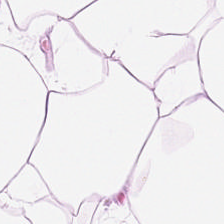Whole-slide-image patch · H&E-stained tissue section — This field is adipose tissue.
